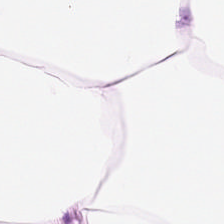Hematoxylin and eosin; formalin-fixed paraffin-embedded section.
The tissue type is adipocytes.
